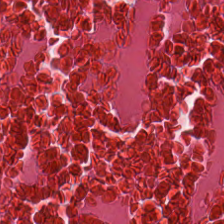Tissue: cellular debris.
